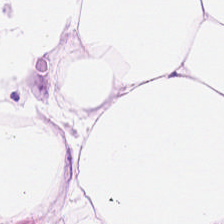0.5 microns per pixel. Hematoxylin and eosin.
Tissue class: adipocytes.
